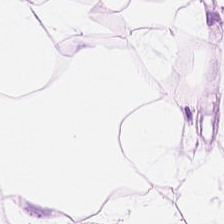This field is adipose.
